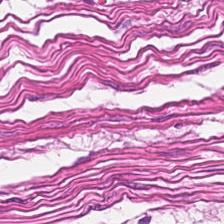Formalin-fixed paraffin-embedded section · H&E-stained tissue section.
Q: What is shown here?
A: Smooth-muscle tissue.
